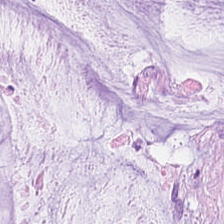Formalin-fixed paraffin-embedded section. H&E-stained tissue section. 0.5 microns per pixel.
This patch shows mucin.
